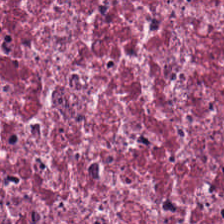0.5 µm per pixel · H&E — This field is tumor-associated stroma.
